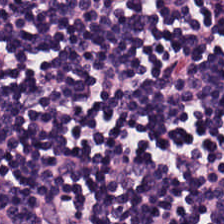H&E. The predominant tissue is lymphocytes.
